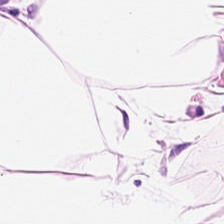H&E stain — Tissue type: adipose tissue.
